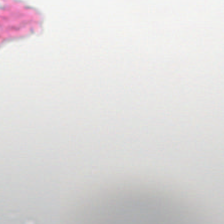FFPE tissue section · H&E-stained tissue section · brightfield microscopy — {"content": "empty background"}
